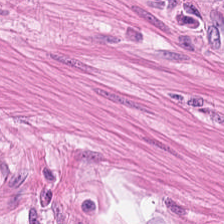FFPE; hematoxylin and eosin. The tissue here is muscularis.
